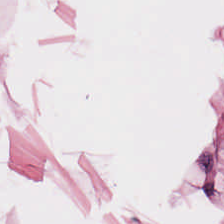0.5 µm/px; H&E stain.
This field is adipose tissue.
